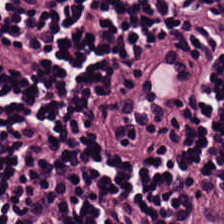Tissue — lymphoid infiltrate.
